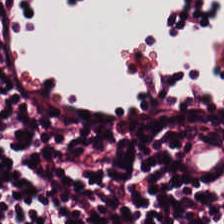Stain: H&E stain.
Acquisition: brightfield microscopy.
Tile size: 224×224 px tile.
Tissue type: lymphocytic infiltrate.
